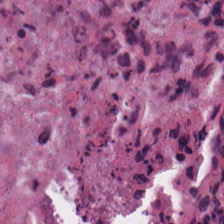Hematoxylin and eosin. FFPE tissue section.
Tissue class — necrotic debris.
